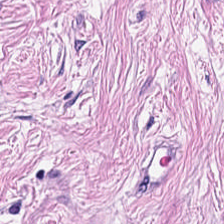0.5 microns per pixel · hematoxylin-and-eosin stained section · FFPE tissue section. Tissue type: tumor stroma.
